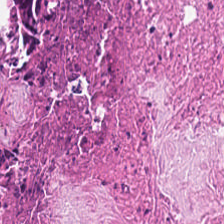224×224 px tile. Hematoxylin and eosin. Brightfield microscopy.
Predominantly necrotic debris.
